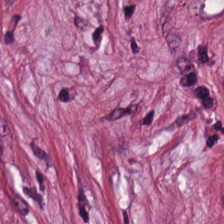Hematoxylin-and-eosin section: cancer-associated stroma.
